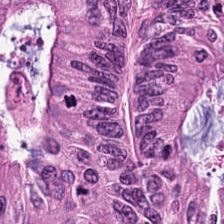Hematoxylin and eosin; 0.5 µm/px. Predominantly tumor epithelium.
